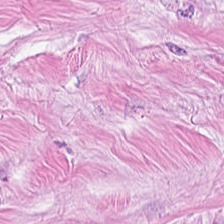H&E; FFPE tissue section; 20× equivalent magnification.
Predominantly tumor stroma.
